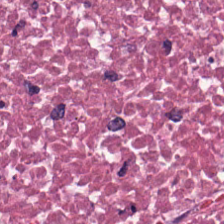WSI patch. H&E stain — Tissue type = necrotic debris.
